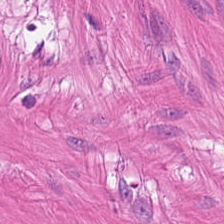Q: Classify this patch.
A: The field shows smooth-muscle tissue.
